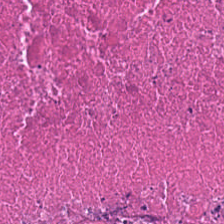H&E-stained tissue section.
Cellular debris.
